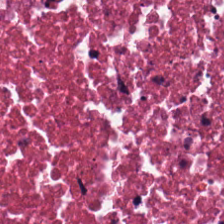Stain: H&E stain.
Classification: cellular debris.
